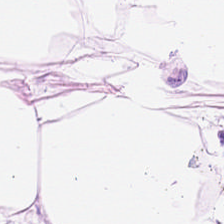224×224 px tile · H&E-stained tissue section. Classification: adipose.
